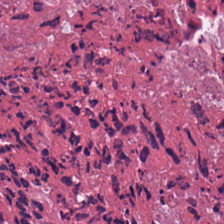H&E · 224×224 px tile. Q: What tissue is shown?
A: Debris.
